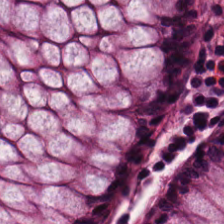H&E-stained tissue section. Non-neoplastic colon mucosa.
